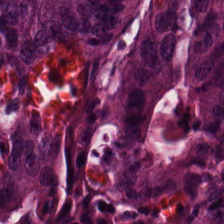Q: What tissue is shown?
A: This is colorectal adenocarcinoma.
